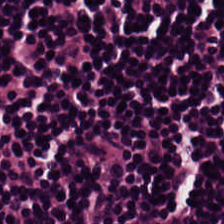H&E. 224×224 px patch.
The tissue class is lymphoid infiltrate.
